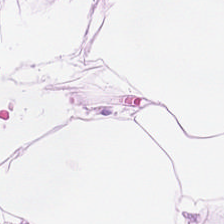H&E stain — Tissue type = adipose.
